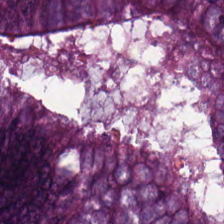H&E-stained tissue section.
Tissue: malignant epithelium.
